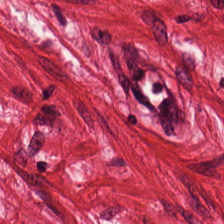224×224 px patch · H&E-stained tissue section.
This patch shows smooth muscle.
